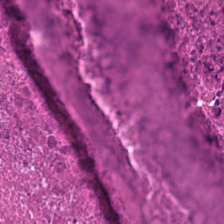H&E-stained tissue section. 224×224 px tile. FFPE tissue section.
The predominant tissue is cellular debris.
